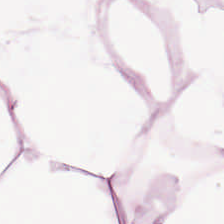224×224 pixel tile · hematoxylin and eosin.
Finding → adipose.
